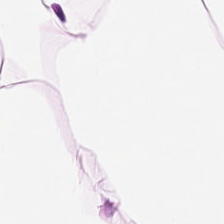0.5 µm/px. H&E-stained tissue section.
Q: What is shown here?
A: This is adipose.
